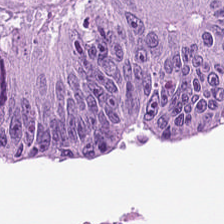Q: What is shown here?
A: Colorectal adenocarcinoma epithelium.
